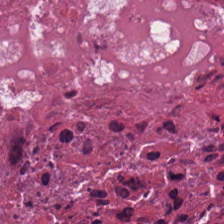224×224 px tile. Hematoxylin-and-eosin stained section. Debris.
